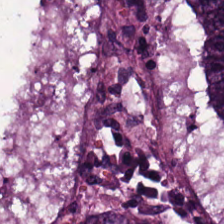H&E stain.
This patch shows colorectal adenocarcinoma.
